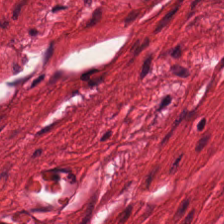Hematoxylin-and-eosin stained section — Predominant tissue = smooth muscle.
